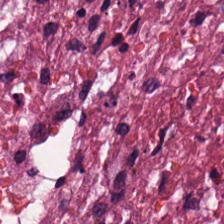Formalin-fixed paraffin-embedded section · 224×224 px tile · H&E stain — Predominantly cellular debris.
